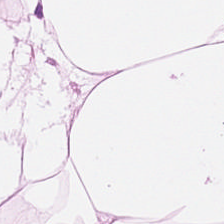H&E.
Tissue class = fat tissue.
